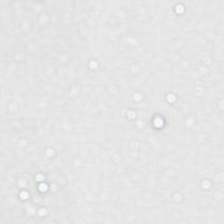Stain: H&E.
Resolution: 0.5 µm/px.
Content: no tissue.
